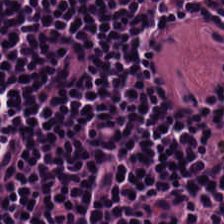Tissue — lymphocytic infiltrate.
